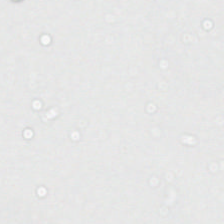H&E-stained tissue section; formalin-fixed paraffin-embedded section. Histology — background.
